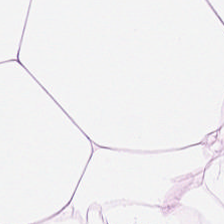The tissue type is adipose.
